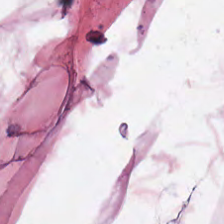H&E. Q: What is shown here?
A: The field shows adipose tissue.
